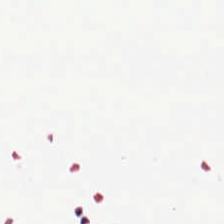Hematoxylin and eosin. Empty field — background.
